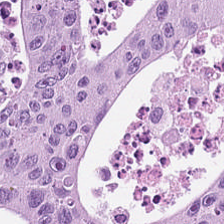Hematoxylin-and-eosin stained section.
Tissue = colorectal adenocarcinoma epithelium.
